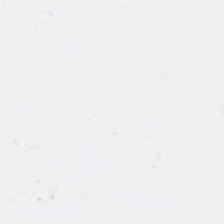Brightfield microscopy; hematoxylin and eosin; 224×224 pixel tile — Empty field — background.
